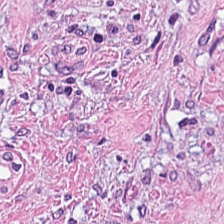H&E stain; whole-slide-image patch.
Q: What tissue type is shown here?
A: This is tumor stroma.
